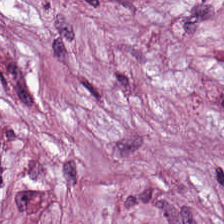FFPE; hematoxylin and eosin.
Q: Classify this patch.
A: The field shows desmoplastic stroma.
